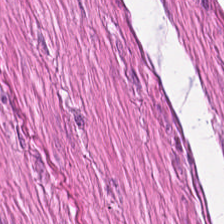Hematoxylin-and-eosin stained section.
Tissue type: smooth muscle.
